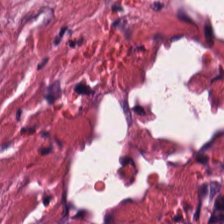Hematoxylin and eosin. Predominantly tumor-associated stroma.
